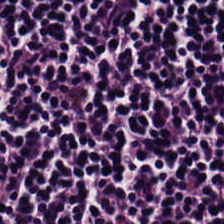0.5 microns per pixel; hematoxylin-and-eosin stained section. Q: What type of tissue is this?
A: It is lymphoid infiltrate.
